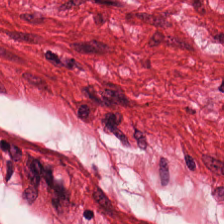Hematoxylin and eosin — Predominantly smooth muscle.
